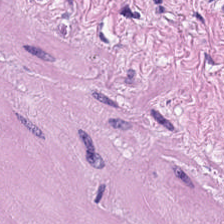Classification — muscularis.
